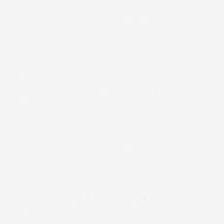H&E-stained tissue section.
Q: What is shown in this field?
A: Empty background.
